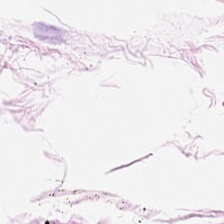Finding — adipocytes.
